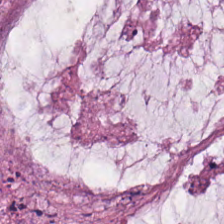Hematoxylin and eosin — Q: What is the predominant tissue type?
A: Mucus.
